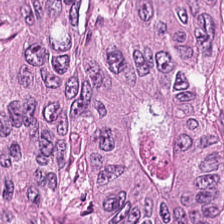H&E stain. Showing colorectal adenocarcinoma.
